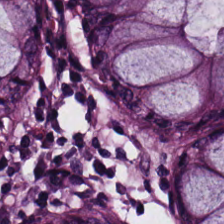Hematoxylin and eosin. This patch shows benign colonic mucosa.
